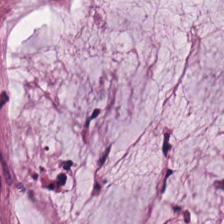H&E.
The tissue is mucin.
